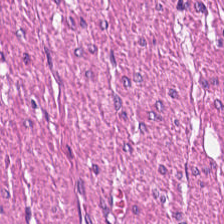224×224 pixel tile. H&E stain. Brightfield microscopy — Tissue class — smooth-muscle tissue.
